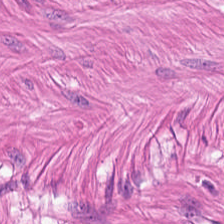Muscularis.
